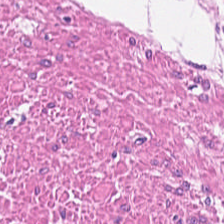Hematoxylin-and-eosin stained section · 0.5 microns per pixel. Smooth-muscle tissue.
